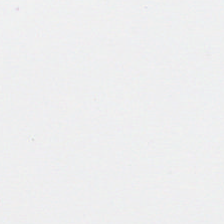Background — no tissue in this field.
